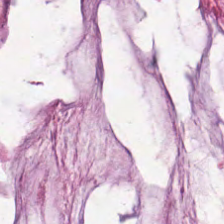Classification: extracellular mucin.
